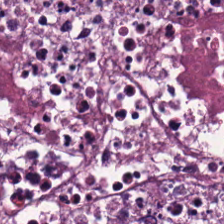Stain: hematoxylin-and-eosin stained section.
Resolution: 0.5 microns per pixel.
Tissue type: debris.
